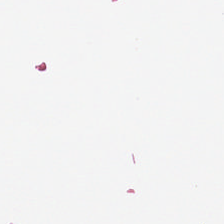Q: What is shown here?
A: Background.
